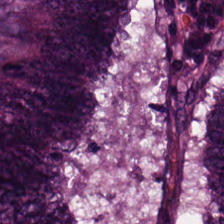H&E; FFPE tissue section; 0.5 microns per pixel.
The tissue here is malignant epithelium.
